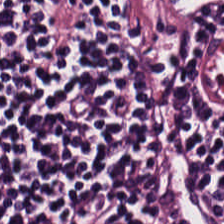The tissue is lymphocytic infiltrate.
